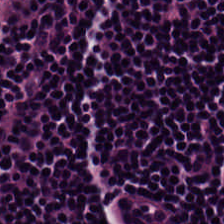H&E-stained tissue section showing lymphocyte aggregate.
